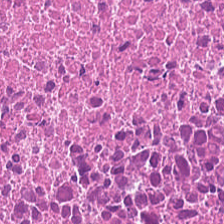H&E-stained tissue section.
Cellular debris.
